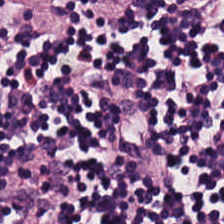Whole-slide-image patch; H&E-stained tissue section.
Classification: lymphoid infiltrate.
